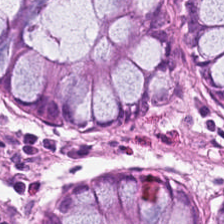H&E; 0.5 µm/px — Tissue class = normal colon mucosa.
